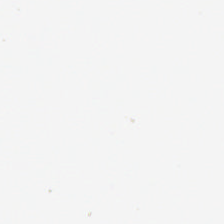WSI patch · hematoxylin and eosin — Impression → background (no tissue).
